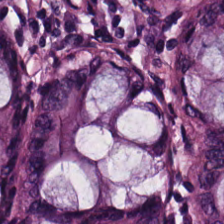Hematoxylin-and-eosin stained section. 0.5 µm/px. Brightfield.
Predominant tissue: normal colonic mucosa.
